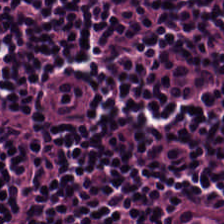Formalin-fixed paraffin-embedded section · H&E · 224×224 px tile — Tissue class = lymphocyte aggregate.
